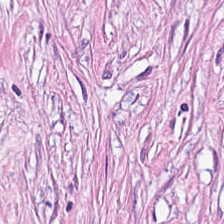Classification — tumor stroma.
